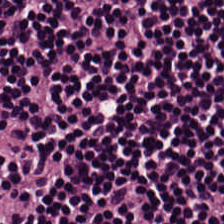FFPE; brightfield; hematoxylin-and-eosin stained section — {"tissue_type": "lymphocytic infiltrate"}
